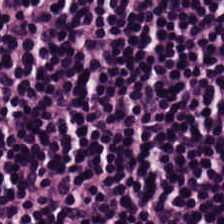Lymphoid infiltrate.
